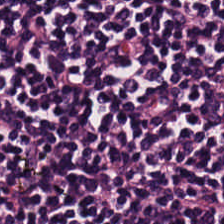H&E stain. 224×224 px patch. Brightfield microscopy. The tissue here is lymphoid infiltrate.
